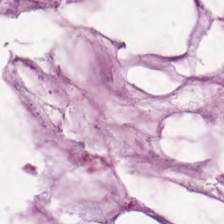Hematoxylin-and-eosin stained section — Tissue = mucus.
